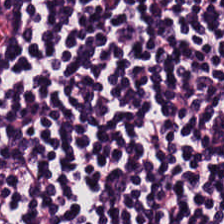Stain: hematoxylin-and-eosin stained section.
Classification: lymphocyte aggregate.
